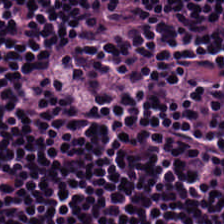H&E-stained tissue section; 224×224 px patch — Showing lymphocyte aggregate.
